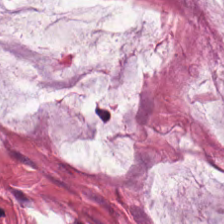H&E-stained tissue section showing mucus.
